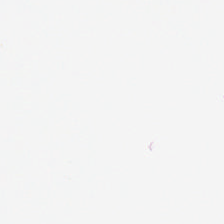{"content": "background (no tissue)"}
